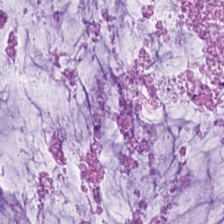Stain: H&E stain.
Tissue: mucus.
